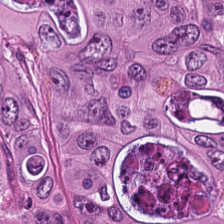Stain: H&E stain.
Classification: colorectal adenocarcinoma.
